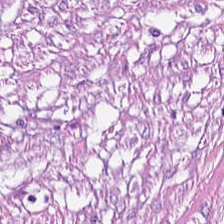Formalin-fixed paraffin-embedded section. H&E stain — This field is desmoplastic stroma.
